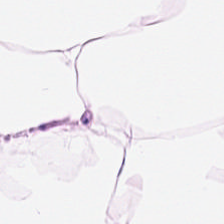H&E-stained tissue section. The classification is fat tissue.
